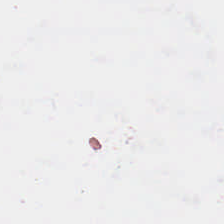Hematoxylin-and-eosin stained section — Background.
